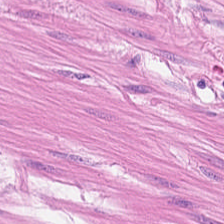H&E stain. Tissue class — smooth-muscle tissue.
